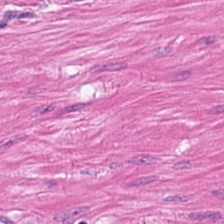Q: What does this patch show?
A: Muscularis.
